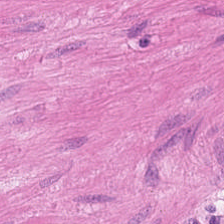Predominantly smooth muscle.
